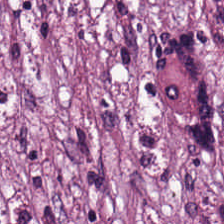Showing desmoplastic stroma.
